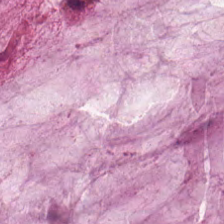0.5 µm/px. WSI patch. H&E-stained tissue section. Histology — extracellular mucin.
